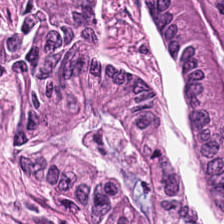H&E-stained tissue section.
Classification = malignant epithelium.
